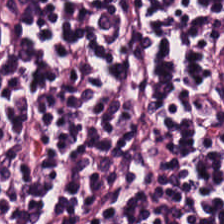Showing lymphocytic infiltrate.
